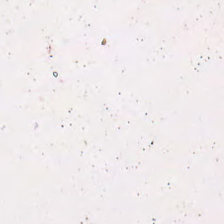H&E-stained tissue section · 224×224 pixel tile · formalin-fixed paraffin-embedded section — The predominant tissue is debris.
